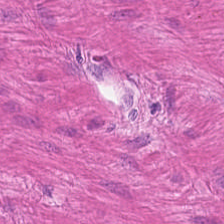Hematoxylin-and-eosin stained section.
Predominant tissue: smooth muscle.
